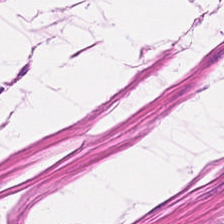Hematoxylin and eosin — Q: What tissue is shown?
A: It is muscularis.
